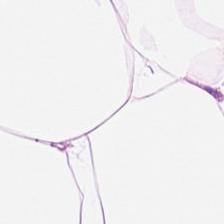H&E-stained tissue section. 0.5 µm/px.
This patch shows adipose tissue.
